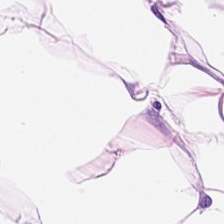Predominant tissue = adipocytes.
